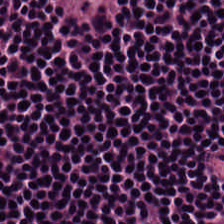Hematoxylin and eosin.
Tissue: lymphocyte aggregate.
